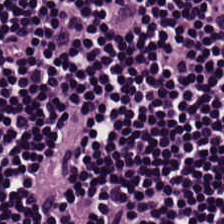Hematoxylin-and-eosin stained section. 0.5 µm per pixel. Formalin-fixed paraffin-embedded section. Lymphoid infiltrate.
